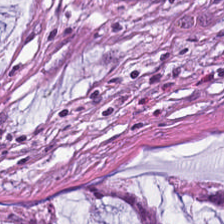H&E-stained tissue section. This patch shows extracellular mucin.
